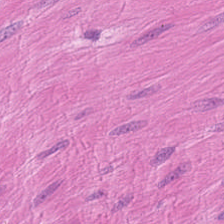H&E stain. Showing muscularis.
